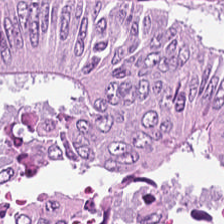FFPE tissue section. Hematoxylin-and-eosin stained section. Tissue type: malignant epithelium.
